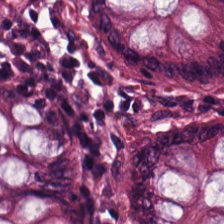H&E — non-neoplastic colon mucosa.
